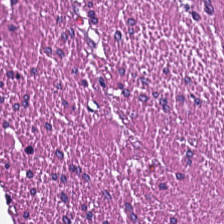H&E stain — Classification = smooth muscle.
